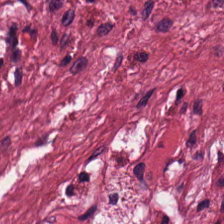Hematoxylin-and-eosin stained section; FFPE tissue section. Tissue = tumor-associated stroma.
